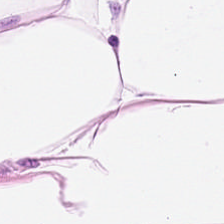Predominantly adipocytes.
